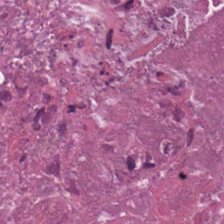FFPE tissue section. Whole-slide-image patch. H&E.
Predominantly cellular debris.
